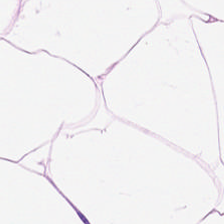Hematoxylin and eosin.
Tissue class: adipose.
